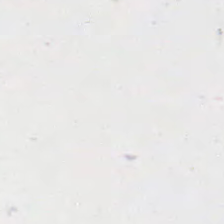Stain: hematoxylin and eosin.
Field content: empty background.
